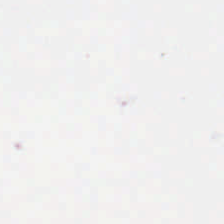H&E-stained tissue section. Brightfield — The field content is no tissue.
